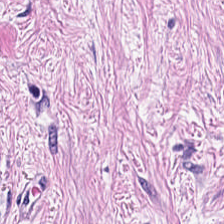Q: What tissue is shown?
A: The field shows cancer-associated stroma.
